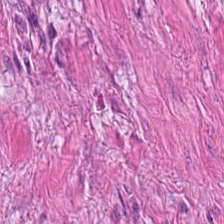Hematoxylin and eosin · FFPE tissue section · WSI patch. Muscularis.
